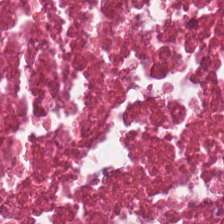H&E stain.
The tissue here is cellular debris.
